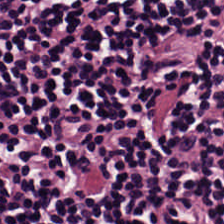Brightfield microscopy; 224×224 px tile; H&E stain.
Tissue class — lymphocytes.
